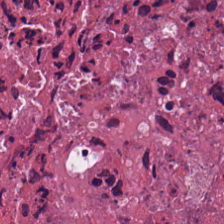Stain: H&E.
Tile size: 224×224 pixel tile.
Tissue class: necrotic debris.
